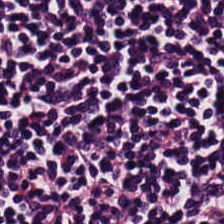H&E-stained tissue section. Brightfield microscopy — This patch shows lymphocytes.
